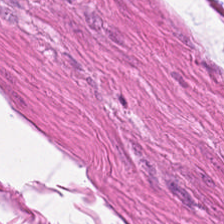Whole-slide-image patch; H&E-stained tissue section. Predominantly muscularis.
